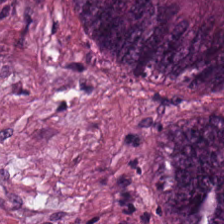Finding → adenocarcinoma.
